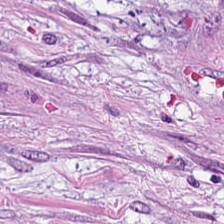0.5 µm per pixel · WSI patch · H&E stain.
Tissue class — cancer-associated stroma.
